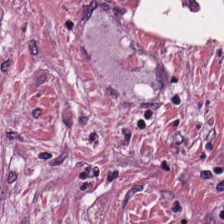224×224 pixel tile · hematoxylin-and-eosin stained section.
{"tissue_type": "desmoplastic stroma"}
